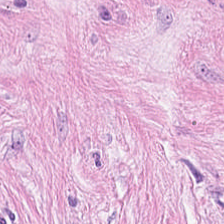Histology — cancer-associated stroma.
